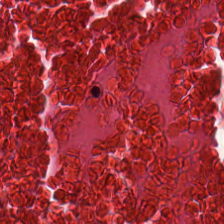Hematoxylin and eosin — The predominant tissue is necrotic debris.
